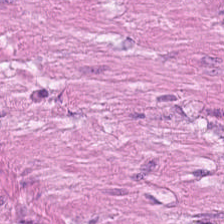Hematoxylin-and-eosin stained section. Smooth muscle.
